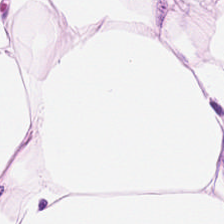Stain: H&E stain.
Tile size: 224×224 px tile.
Acquisition: brightfield.
Tissue class: adipose.
